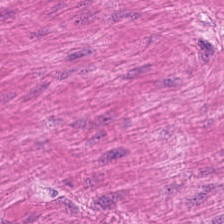Brightfield. FFPE. H&E-stained tissue section — This patch shows smooth muscle.
